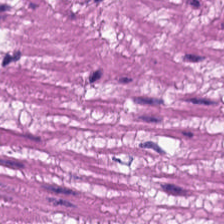Hematoxylin-and-eosin stained section — The predominant tissue is muscularis.
